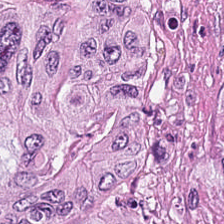Stain: H&E stain.
Tissue type: colorectal adenocarcinoma epithelium.
